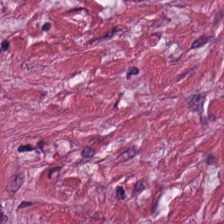Stain: hematoxylin and eosin.
Tissue class: cancer-associated stroma.
